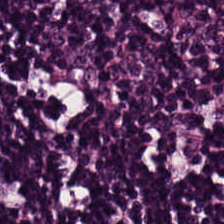Hematoxylin-and-eosin stained section — This field is lymphocytic infiltrate.
